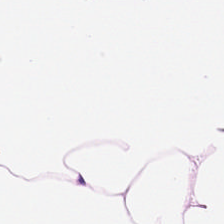Histology — fat tissue.
